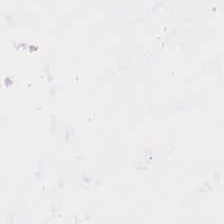H&E stain.
Background — no tissue in this field.
